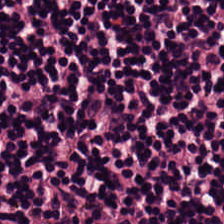Stain: hematoxylin and eosin.
Preparation: formalin-fixed paraffin-embedded section.
Classification: lymphocyte aggregate.
